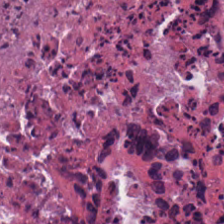H&E stain. Showing necrotic debris.
